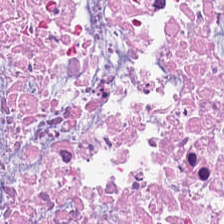Predominant tissue: necrotic debris.
